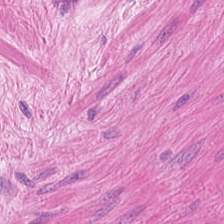H&E stain · WSI patch · 0.5 µm per pixel. The tissue here is smooth muscle.
